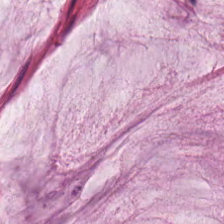Predominantly extracellular mucin.
